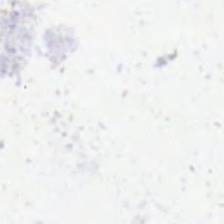H&E stain. FFPE tissue section — Q: What is shown here?
A: The field shows no tissue.
